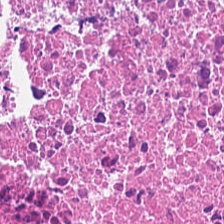H&E. Predominant tissue — debris.
